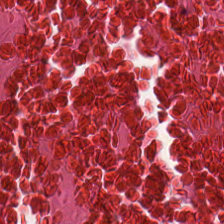Hematoxylin-and-eosin stained section.
Q: What is shown in this field?
A: Necrotic debris.
